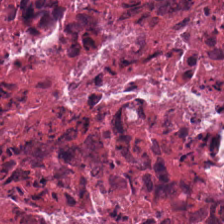Hematoxylin and eosin. Q: What type of tissue is this?
A: It is necrotic debris.
